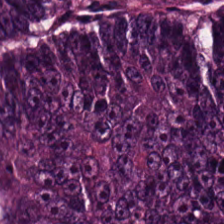Hematoxylin-and-eosin stained section. Brightfield microscopy — Predominantly tumor epithelium.
